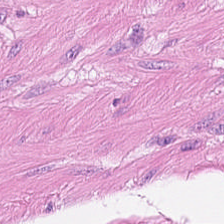Hematoxylin and eosin. Q: Classify this patch.
A: It is muscularis.
